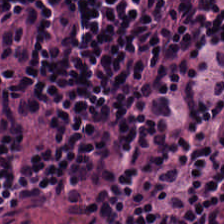H&E — Predominant tissue — lymphocytic infiltrate.
